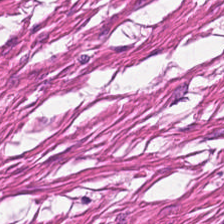Hematoxylin and eosin.
Predominant tissue — smooth muscle.
